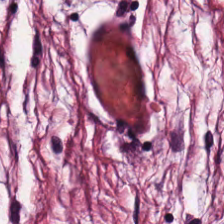224×224 px patch · whole-slide-image patch · H&E. Tissue type = tumor-associated stroma.
